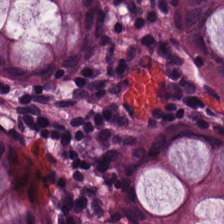Tissue type: normal colon mucosa.
